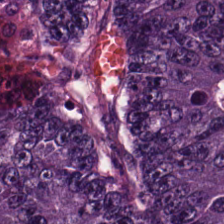The tissue class is malignant epithelium.
